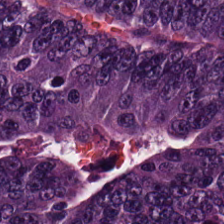H&E.
Tissue type — tumor epithelium.
